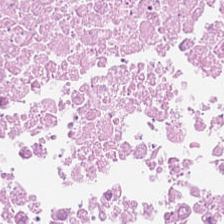Histology — necrotic debris.
